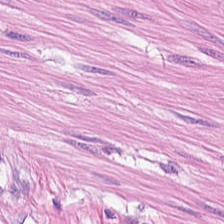FFPE. 224×224 px patch. Hematoxylin-and-eosin stained section.
Showing muscularis.
